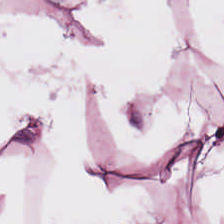H&E stain. Tissue — adipocytes.
